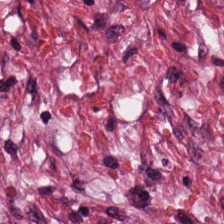Hematoxylin-and-eosin stained section — Q: What is the predominant tissue type?
A: It is tumor-associated stroma.
